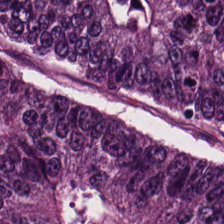H&E; 224×224 px tile; 0.5 µm/px.
Tissue: colorectal adenocarcinoma epithelium.
